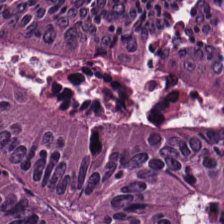Tissue class: malignant epithelium.
